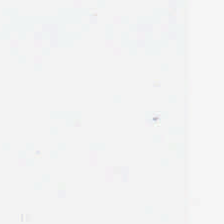Stain: hematoxylin and eosin.
Content: no tissue.
